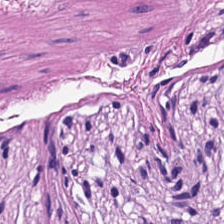FFPE · hematoxylin-and-eosin stained section — Predominantly smooth muscle.
